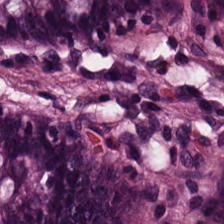H&E. The tissue here is non-neoplastic colon mucosa.
